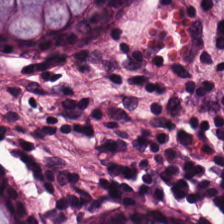Predominant tissue = non-neoplastic colon mucosa.
